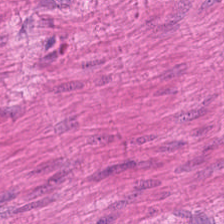Muscularis.
